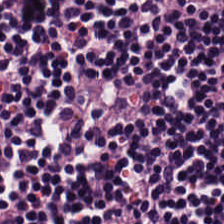Brightfield microscopy · 0.5 microns per pixel · H&E.
This patch shows lymphocyte aggregate.
